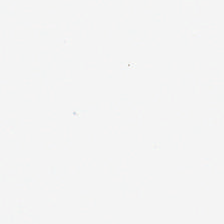Empty field — background (no tissue).
